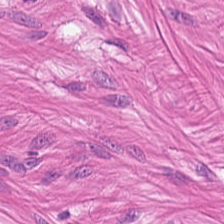Muscularis.
